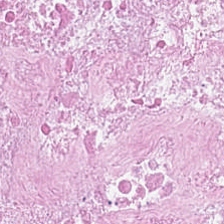Hematoxylin-and-eosin stained section.
{"tissue_type": "cellular debris"}
